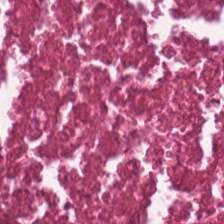H&E — Predominantly necrotic debris.
